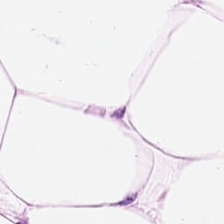Hematoxylin and eosin.
Showing fat tissue.
